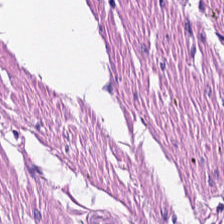224×224 px tile. H&E. FFPE tissue section. Predominantly smooth muscle.
